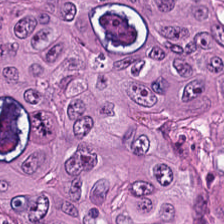H&E-stained tissue section — Colorectal adenocarcinoma.
